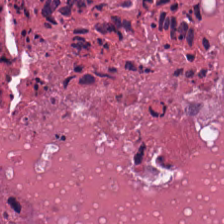H&E stain — Q: What is shown here?
A: It is cellular debris.
